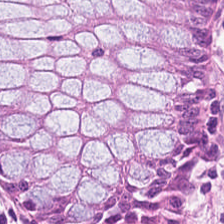Hematoxylin-and-eosin stained section.
Tissue class: normal colon mucosa.
